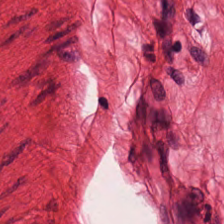Tissue type: muscularis.
